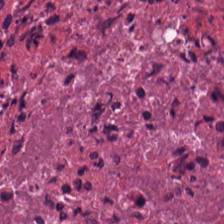0.5 µm/px. Hematoxylin and eosin. This field is cellular debris.
